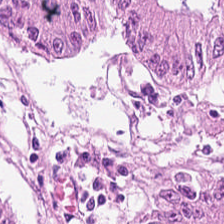Hematoxylin and eosin · WSI patch — Tissue class: adenocarcinoma.
